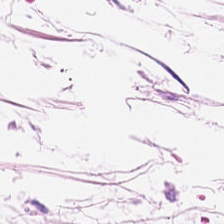H&E. The classification is adipose.
